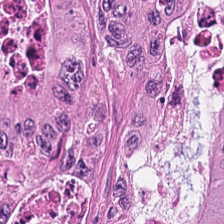H&E-stained tissue section; WSI patch; 0.5 microns per pixel — Tissue: adenocarcinoma.
